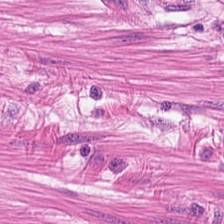Hematoxylin-and-eosin stained section — Tissue = smooth-muscle tissue.
